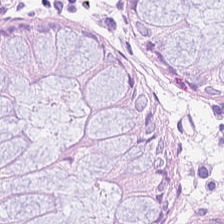Hematoxylin and eosin.
Impression — normal colonic mucosa.
